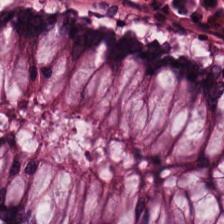H&E-stained tissue section · 224×224 px tile — The predominant tissue is non-neoplastic colon mucosa.
